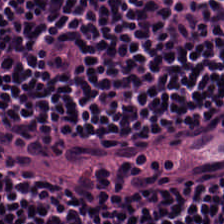0.5 microns per pixel · hematoxylin-and-eosin stained section.
Q: What is the predominant tissue type?
A: This is lymphoid infiltrate.
